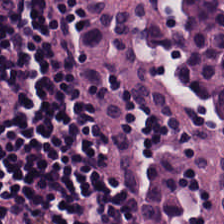H&E-stained tissue section. 0.5 µm per pixel — The predominant tissue is lymphocyte aggregate.
